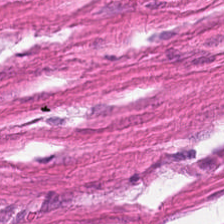H&E-stained tissue section — Classification = smooth muscle.
